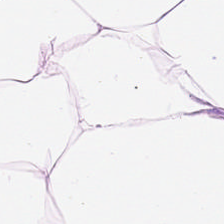Stain: hematoxylin and eosin.
Tissue: adipose tissue.
